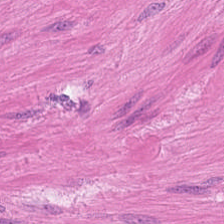Stain: H&E-stained tissue section.
Acquisition: brightfield.
Tile size: 224×224 px patch.
Tissue class: muscularis.
